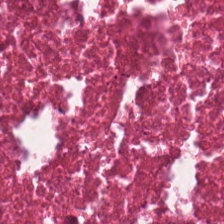Hematoxylin and eosin. Finding → debris.
